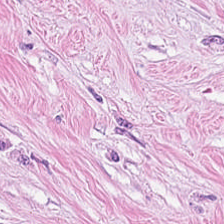Hematoxylin-and-eosin stained section.
Tissue — desmoplastic stroma.
